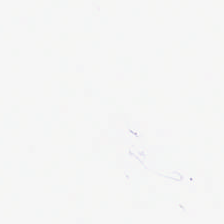H&E. Background — no tissue in this field.
